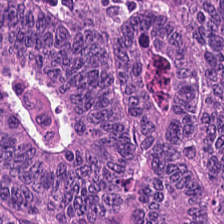Brightfield microscopy; H&E stain — The tissue here is colorectal adenocarcinoma.
